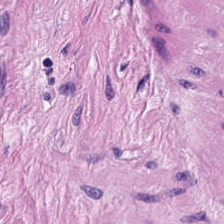Tissue class: smooth-muscle tissue.
